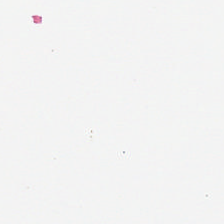0.5 µm per pixel · H&E-stained tissue section.
Background — no tissue in this field.
